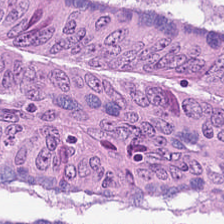0.5 µm/px; H&E — Finding — colorectal adenocarcinoma.
